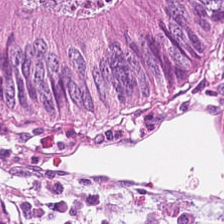H&E stain.
Predominantly colorectal adenocarcinoma.
